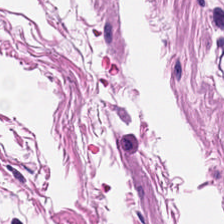H&E-stained tissue section — Q: What does this patch show?
A: Smooth-muscle tissue.
